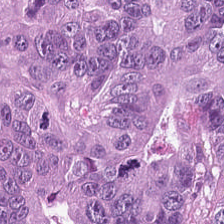H&E.
Finding → colorectal adenocarcinoma epithelium.
